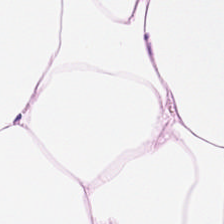Stain: hematoxylin and eosin.
Predominant tissue: fat tissue.
